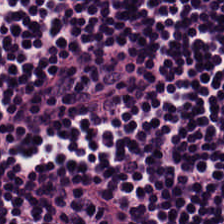Tissue class = lymphoid infiltrate.
